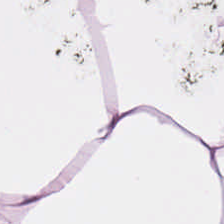Brightfield · H&E stain.
This field is fat tissue.
